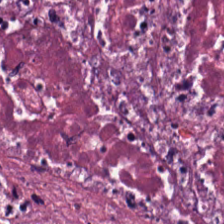WSI patch; H&E. Tissue class: cellular debris.
